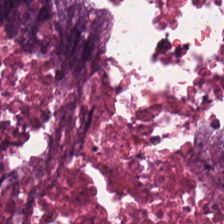H&E stain; 0.5 µm per pixel. The predominant tissue is necrotic debris.
